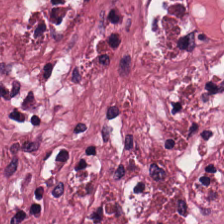The classification is cancer-associated stroma.
